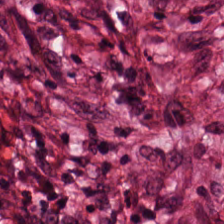Impression — cancer-associated stroma.
